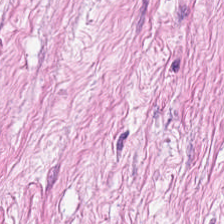The predominant tissue is tumor-associated stroma.
